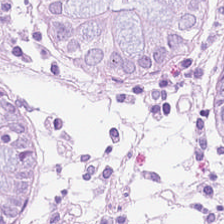H&E-stained tissue section showing benign colonic mucosa.
